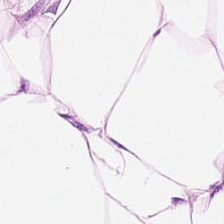H&E. Q: What is shown here?
A: The field shows adipose.
